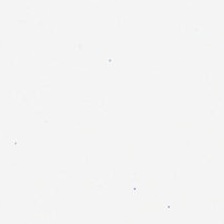The field content is empty background.
